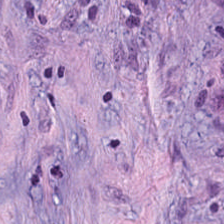H&E stain. Formalin-fixed paraffin-embedded section. Q: What type of tissue is this?
A: This is cancer-associated stroma.
